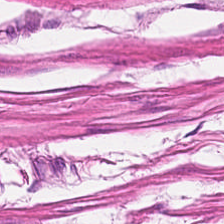Q: What does this patch show?
A: This is smooth-muscle tissue.
